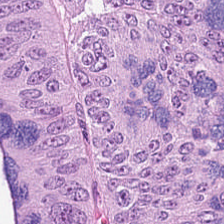Stain: hematoxylin-and-eosin stained section.
Tissue class: tumor epithelium.
